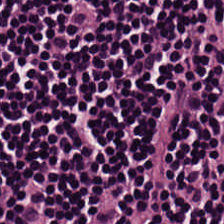Brightfield. H&E stain. 224×224 pixel tile — Q: Identify the tissue.
A: The field shows lymphocytic infiltrate.
